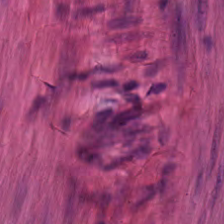Hematoxylin and eosin.
Predominant tissue — smooth-muscle tissue.
